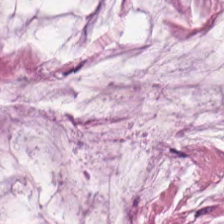Tissue — mucin.
